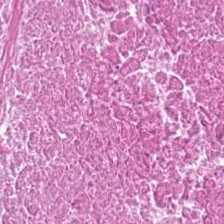Hematoxylin and eosin — {"tissue_type": "cellular debris"}
